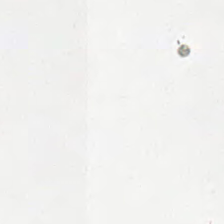Hematoxylin and eosin · 20× equivalent magnification · formalin-fixed paraffin-embedded section — Content: empty background.
